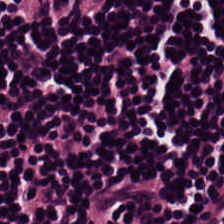Formalin-fixed paraffin-embedded section; H&E-stained tissue section. Classification = lymphocytic infiltrate.
